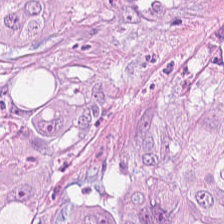The tissue here is malignant epithelium.
